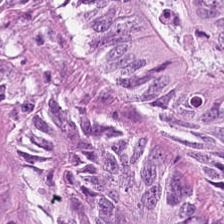Stain: H&E stain.
Tissue type: colorectal adenocarcinoma.
